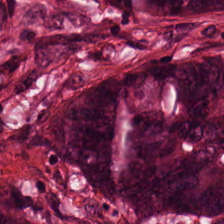{"tissue_type": "colorectal adenocarcinoma"}
